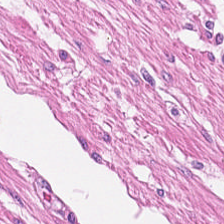Hematoxylin and eosin.
Q: What is shown here?
A: It is smooth-muscle tissue.
